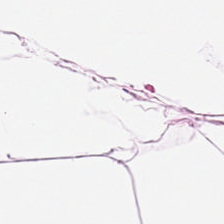Hematoxylin and eosin.
Adipose tissue.
